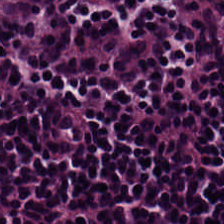H&E. Finding — lymphocytes.
